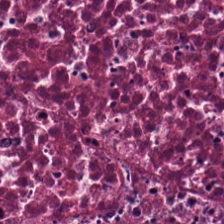Q: Classify this patch.
A: Cellular debris.
